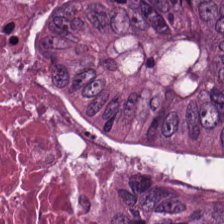Tissue type: debris.
